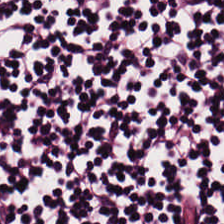Tissue class — lymphocyte aggregate.
